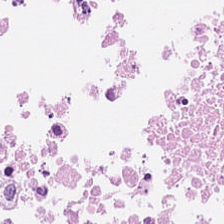{"tissue_type": "cellular debris"}
